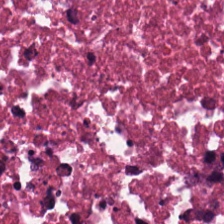Hematoxylin-and-eosin stained section. The tissue is necrotic debris.
